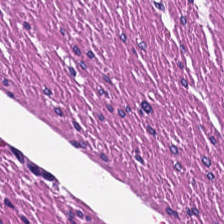Tissue = smooth-muscle tissue.
